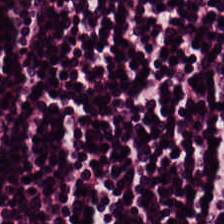H&E patch showing lymphocytic infiltrate.
